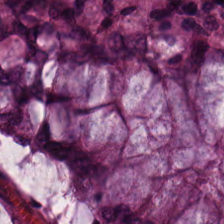Classification: non-neoplastic colon mucosa.
